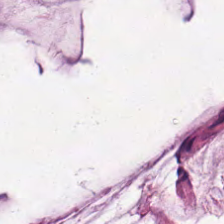Q: What tissue type is shown here?
A: Mucus.
